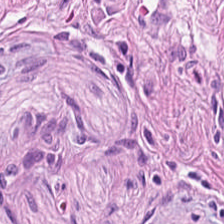Stain: H&E stain.
Tissue class: smooth muscle.
